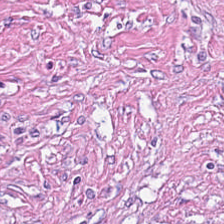0.5 µm/px · H&E-stained tissue section · 224×224 px patch — Impression — tumor stroma.
